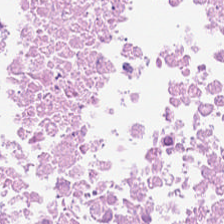Stain: hematoxylin and eosin.
Predominant tissue: debris.
